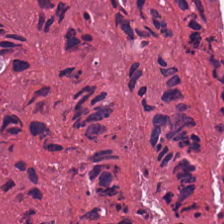The tissue here is cellular debris.
